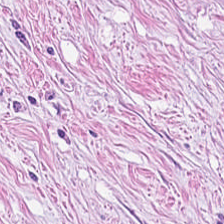Hematoxylin and eosin. The tissue class is desmoplastic stroma.
